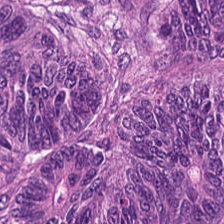Tissue class: colorectal adenocarcinoma.
